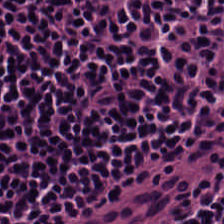Hematoxylin and eosin. This patch shows lymphocytes.
